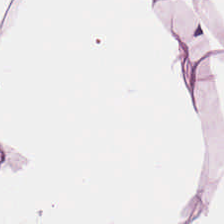20× equivalent magnification. Hematoxylin-and-eosin stained section.
The tissue type is fat tissue.
